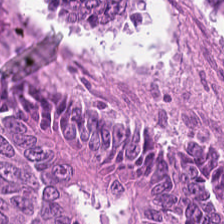Hematoxylin-and-eosin stained section.
Tissue class: tumor epithelium.
